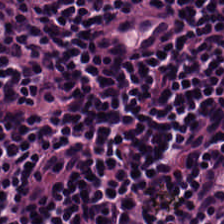H&E stain; brightfield microscopy. Q: What tissue is shown?
A: The field shows lymphocytes.
